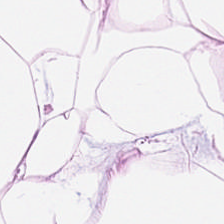224×224 px patch; hematoxylin-and-eosin stained section. Adipose tissue.
